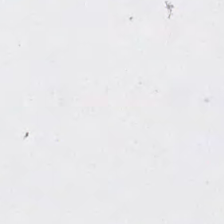H&E-stained tissue section. Histology — background.
